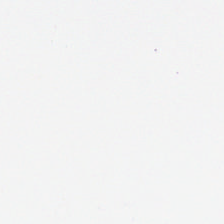Hematoxylin and eosin — Q: Classify this patch.
A: This is background (no tissue).
